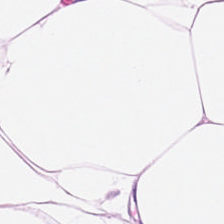Hematoxylin-and-eosin stained section.
Tissue = adipocytes.
